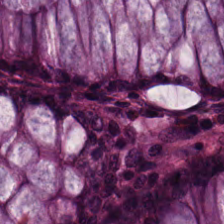0.5 µm/px. Hematoxylin-and-eosin stained section.
Q: Identify the tissue.
A: This is benign colonic mucosa.
